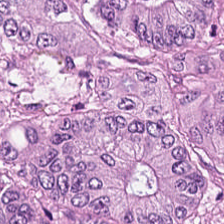H&E stain. The tissue is adenocarcinoma.
